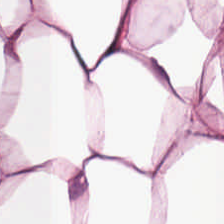H&E-stained tissue section — The predominant tissue is adipose.
